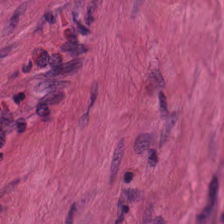H&E. Predominant tissue — muscularis.
